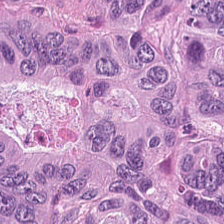Hematoxylin and eosin · 0.5 µm per pixel.
Malignant epithelium.
